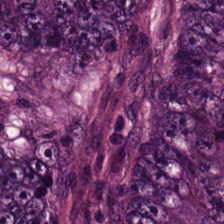Hematoxylin-and-eosin section: colorectal adenocarcinoma epithelium.
